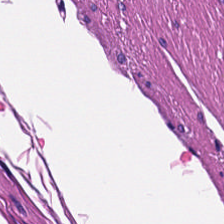Hematoxylin-and-eosin stained section — Predominantly smooth-muscle tissue.
